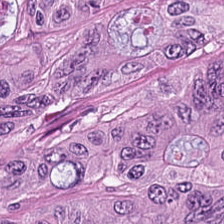224×224 pixel tile; formalin-fixed paraffin-embedded section; H&E-stained tissue section.
This field is colorectal adenocarcinoma.
